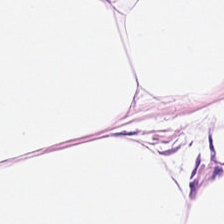Hematoxylin-and-eosin stained section · 0.5 microns per pixel — Predominantly adipose.
